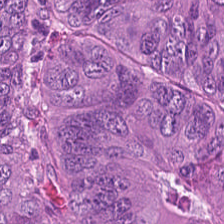H&E. 20× equivalent magnification — Predominantly tumor epithelium.
